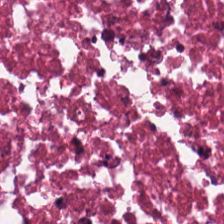Brightfield. Hematoxylin-and-eosin stained section. Formalin-fixed paraffin-embedded section — Predominantly debris.
